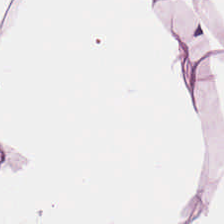H&E.
Finding → adipose tissue.
